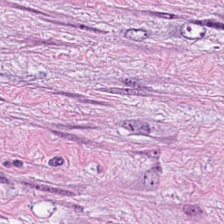H&E-stained tissue section. The tissue here is tumor stroma.
